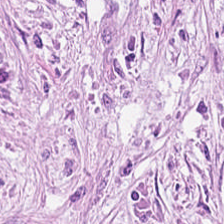0.5 µm/px · H&E. Histology → tumor stroma.
